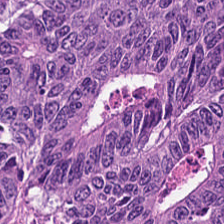Stain: hematoxylin-and-eosin stained section.
Preparation: FFPE tissue section.
Tissue: tumor epithelium.
